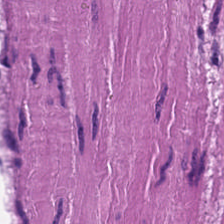H&E-stained tissue section. Q: What tissue is shown?
A: It is smooth-muscle tissue.
